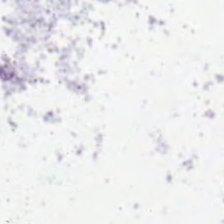Hematoxylin-and-eosin stained section.
Field content — background.
